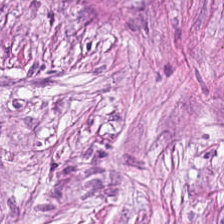Hematoxylin-and-eosin stained section — This patch shows cancer-associated stroma.
